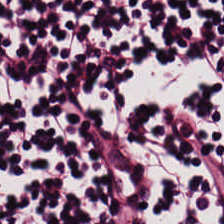H&E.
The predominant tissue is lymphoid infiltrate.
